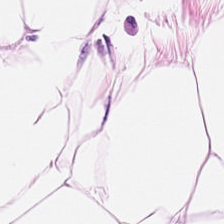H&E patch showing adipose tissue.
